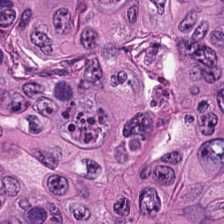Showing colorectal adenocarcinoma.
